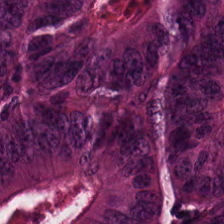Classification = tumor epithelium.
